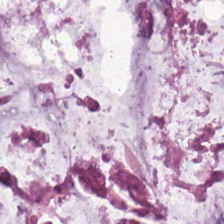H&E-stained tissue section — Predominantly mucus.
